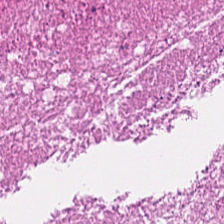Hematoxylin-and-eosin stained section — The tissue here is necrotic debris.
